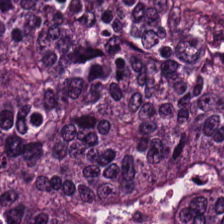Brightfield microscopy · hematoxylin and eosin.
Q: What tissue is shown?
A: The field shows malignant epithelium.
